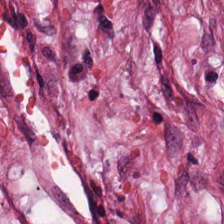Formalin-fixed paraffin-embedded section; hematoxylin-and-eosin stained section; brightfield — Q: What is the predominant tissue type?
A: It is desmoplastic stroma.
